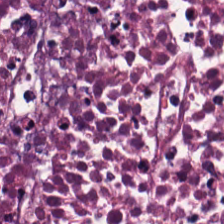Hematoxylin-and-eosin stained section.
Classification: cellular debris.
